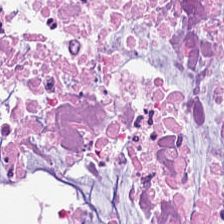Tissue: necrotic debris.
